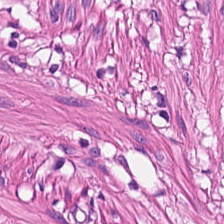H&E stain. Classification = smooth-muscle tissue.
